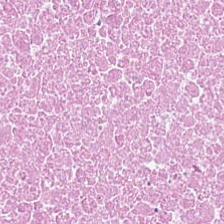Hematoxylin and eosin. The tissue is necrotic debris.
